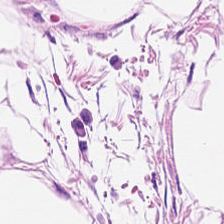Hematoxylin and eosin · 0.5 µm/px · brightfield.
{"tissue_type": "adipose tissue"}
